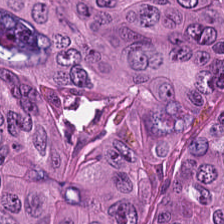Adenocarcinoma.
